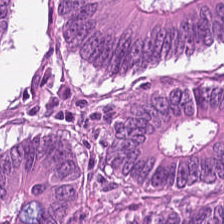Q: What is shown in this field?
A: It is colorectal adenocarcinoma.
